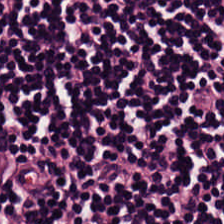The classification is lymphocytes.
